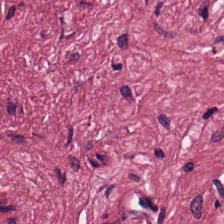H&E-stained tissue section. 224×224 px patch. FFPE — Tissue type = desmoplastic stroma.
